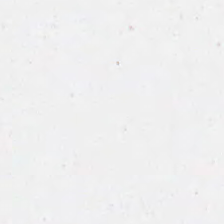FFPE tissue section. Hematoxylin-and-eosin stained section. Q: What is shown in this field?
A: Background.
